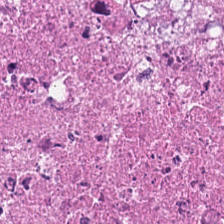H&E. Whole-slide-image patch — Q: Classify this patch.
A: Debris.
